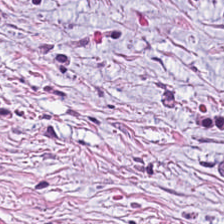Classification: tumor-associated stroma.
